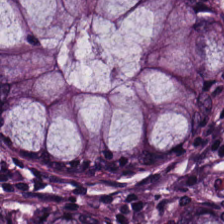Predominantly non-neoplastic colon mucosa.
